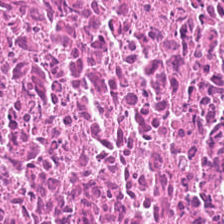H&E-stained tissue section showing necrotic debris.
